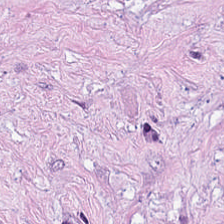H&E.
{"tissue_type": "tumor-associated stroma"}
